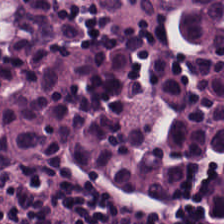Stain: hematoxylin and eosin.
Tissue type: lymphoid infiltrate.
